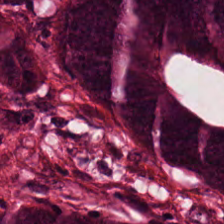Hematoxylin-and-eosin section: adenocarcinoma.
